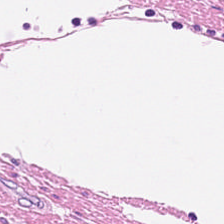Stain: hematoxylin-and-eosin stained section.
Preparation: FFPE.
Tile size: 224×224 pixel tile.
Predominant tissue: muscularis.
